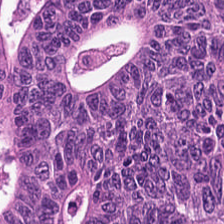0.5 microns per pixel. Hematoxylin and eosin. 224×224 px patch. Tissue type = adenocarcinoma.
